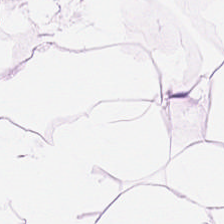H&E.
The predominant tissue is adipose.
